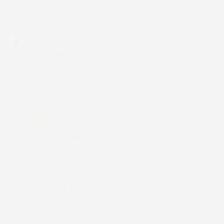Stain: H&E.
Tile size: 224×224 px patch.
Classification: no tissue.
